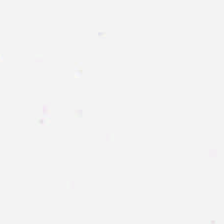Stain: H&E.
Resolution: 0.5 microns per pixel.
Tile size: 224×224 px patch.
Classification: no tissue.
